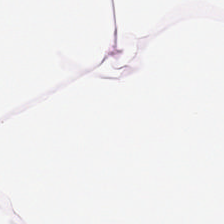Predominant tissue: fat tissue.
